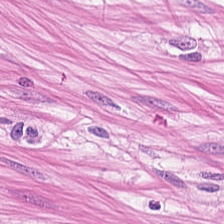Stain: H&E-stained tissue section.
Tile size: 224×224 px patch.
Tissue type: smooth-muscle tissue.
